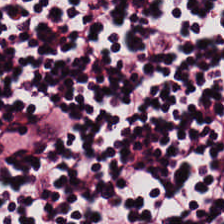Hematoxylin-and-eosin stained section. Q: What is shown in this field?
A: The field shows lymphocytic infiltrate.
